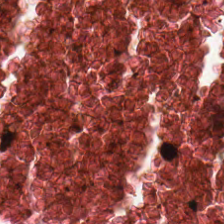WSI patch. H&E stain. Formalin-fixed paraffin-embedded section.
The predominant tissue is debris.
